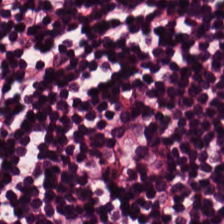H&E stain · formalin-fixed paraffin-embedded section — Histology — lymphocytes.
